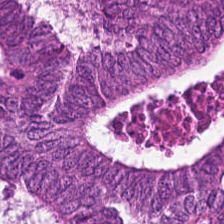H&E-stained tissue section. FFPE. Tissue class — colorectal adenocarcinoma.
